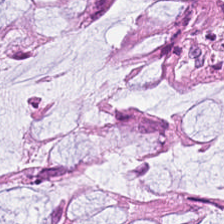H&E-stained section; the field shows normal colonic mucosa.
